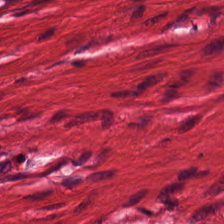{"tissue_type": "smooth muscle"}
